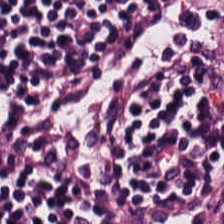H&E — {"tissue_type": "lymphoid infiltrate"}
